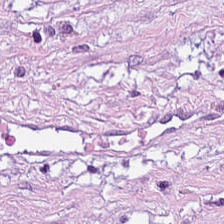0.5 microns per pixel. H&E. 224×224 px tile. The classification is desmoplastic stroma.
